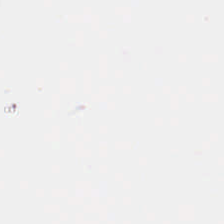H&E-stained tissue section — Field content: background.
